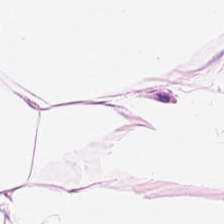H&E-stained tissue section. 0.5 µm/px.
Predominant tissue = adipose tissue.
